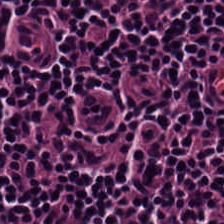Lymphocytes.
